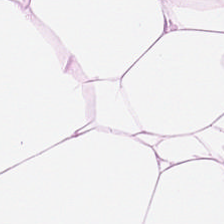H&E-stained tissue section · formalin-fixed paraffin-embedded section · 224×224 px tile. {"tissue_type": "adipose tissue"}
